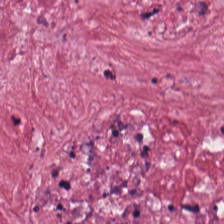20× equivalent magnification · FFPE tissue section · H&E stain — This field is desmoplastic stroma.
